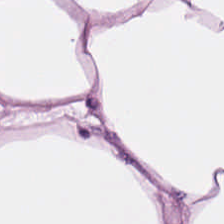H&E stain.
Showing fat tissue.
